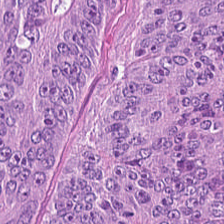Hematoxylin and eosin; 0.5 µm/px.
Showing colorectal adenocarcinoma epithelium.
